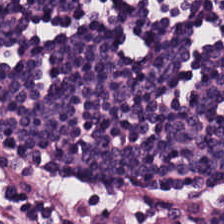Stain: H&E.
Resolution: 0.5 µm/px.
Predominant tissue: lymphocytic infiltrate.
